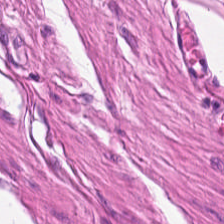0.5 µm per pixel. 224×224 px patch. H&E-stained tissue section. The tissue class is muscularis.
